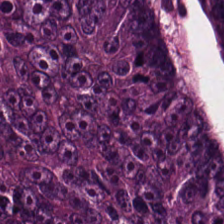0.5 microns per pixel · hematoxylin and eosin. The predominant tissue is colorectal adenocarcinoma.
